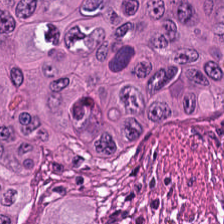Hematoxylin-and-eosin stained section.
Predominantly colorectal adenocarcinoma epithelium.
